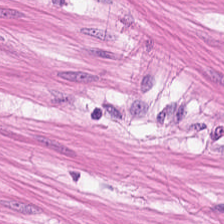Stain: H&E.
Classification: smooth-muscle tissue.
